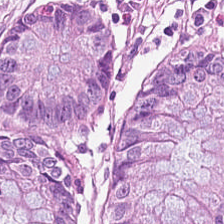H&E · 0.5 µm/px — The tissue here is normal colon mucosa.
